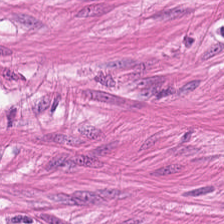Tissue type — smooth muscle.
